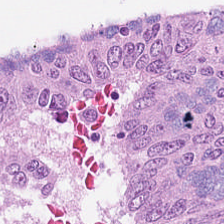H&E. {"tissue_type": "tumor epithelium"}
